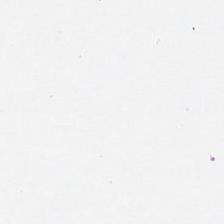20× equivalent magnification; 224×224 px tile; H&E. Content = background.
